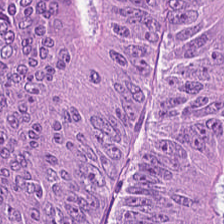Hematoxylin and eosin · 224×224 px patch.
Showing colorectal adenocarcinoma epithelium.
